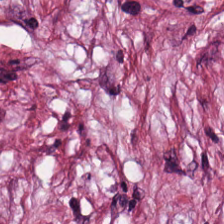20× equivalent magnification. H&E stain. Q: Classify this patch.
A: The field shows tumor-associated stroma.
